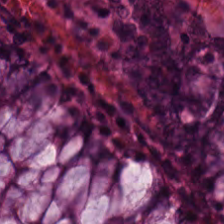Q: What does this patch show?
A: The field shows benign colonic mucosa.
